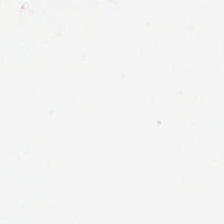H&E — Q: Classify this patch.
A: This is background.
